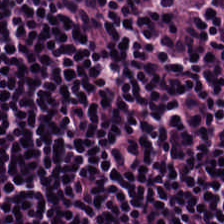Hematoxylin-and-eosin stained section. Classification = lymphocytes.
